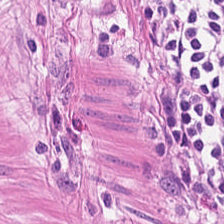Formalin-fixed paraffin-embedded section; hematoxylin and eosin. Q: Classify this patch.
A: The field shows muscularis.
